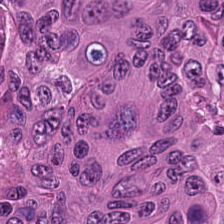Hematoxylin-and-eosin stained section. 224×224 pixel tile. Formalin-fixed paraffin-embedded section — This patch shows colorectal adenocarcinoma epithelium.
